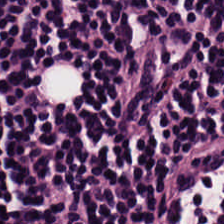Stain: H&E stain.
Classification: lymphocyte aggregate.
